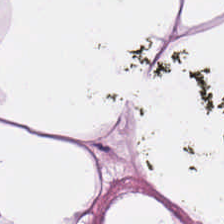Stain: H&E.
Preparation: FFPE tissue section.
Tissue type: adipose.
